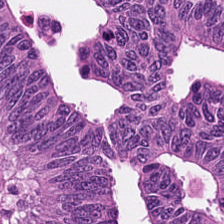Hematoxylin and eosin. Tissue: tumor epithelium.
